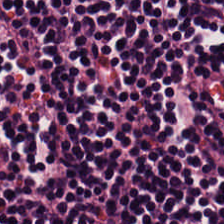Hematoxylin-and-eosin stained section.
Finding — lymphocytic infiltrate.
